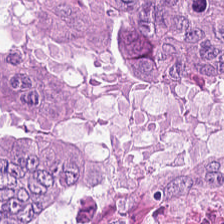H&E stain.
Q: What type of tissue is this?
A: This is tumor epithelium.
